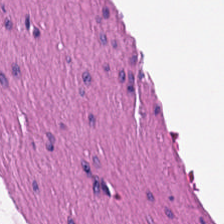Stain: H&E-stained tissue section.
Preparation: FFPE tissue section.
Resolution: 20× equivalent magnification.
Tissue class: smooth-muscle tissue.
